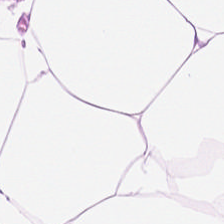Q: What is the predominant tissue type?
A: The field shows adipose tissue.
